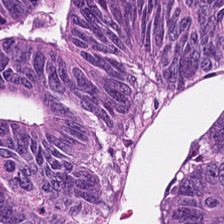H&E-stained tissue section; 224×224 px patch. Q: Identify the tissue.
A: It is malignant epithelium.
